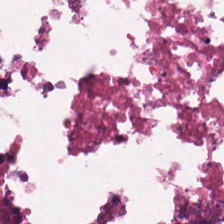H&E. Brightfield microscopy.
Q: What is shown in this field?
A: The field shows cellular debris.
